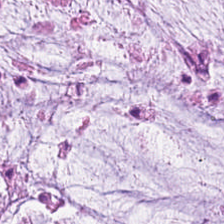Predominantly extracellular mucin.
